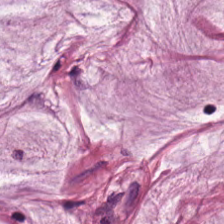Brightfield; 224×224 pixel tile; hematoxylin-and-eosin stained section.
This patch shows mucin.
